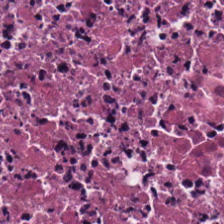FFPE tissue section. H&E-stained tissue section. Brightfield.
The predominant tissue is debris.
